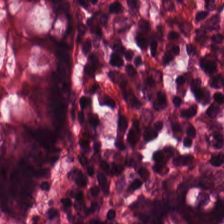Stain: H&E-stained tissue section.
Tissue type: non-neoplastic colon mucosa.
